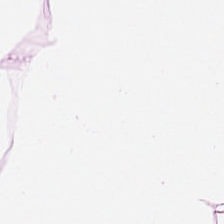Q: What tissue is shown?
A: The field shows adipose tissue.
